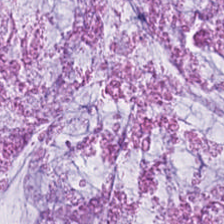H&E-stained tissue section · brightfield — This field is extracellular mucin.
